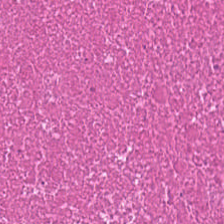H&E stain; formalin-fixed paraffin-embedded section. Tissue: debris.
